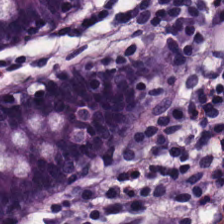Hematoxylin and eosin — Histology → normal colon mucosa.
